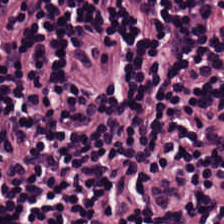This field is lymphocyte aggregate.
